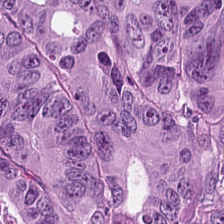Stain: hematoxylin-and-eosin stained section.
Tissue class: tumor epithelium.
